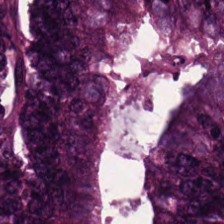Formalin-fixed paraffin-embedded section; hematoxylin-and-eosin stained section. Classification — tumor epithelium.
